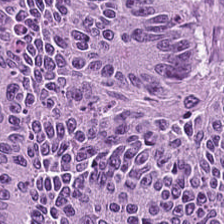224×224 px tile; brightfield microscopy; hematoxylin-and-eosin stained section. Finding — tumor epithelium.
